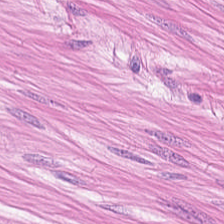H&E.
Q: Identify the tissue.
A: The field shows smooth muscle.
